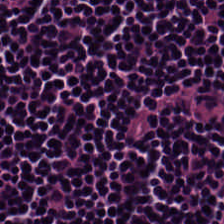H&E — Predominantly lymphoid infiltrate.
